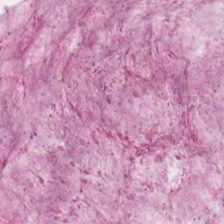Stain: H&E stain.
Resolution: 20× equivalent magnification.
Acquisition: whole-slide-image patch.
Tissue: mucin.
